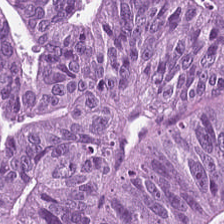H&E.
Classification = tumor epithelium.
